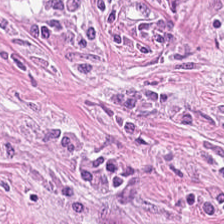Hematoxylin-and-eosin stained section. Predominant tissue — cancer-associated stroma.
